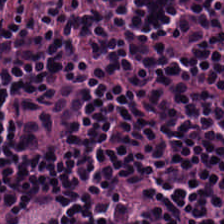H&E stain. 0.5 µm/px. FFPE. Predominantly lymphocytes.
